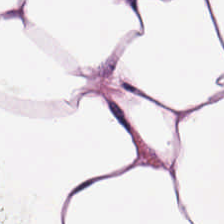Hematoxylin-and-eosin stained section — The predominant tissue is adipose.
